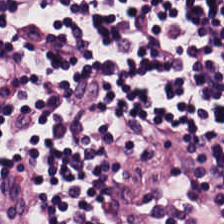Impression — lymphocyte aggregate.
